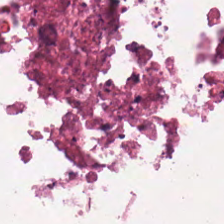H&E-stained tissue section.
Q: What is shown here?
A: It is cellular debris.
